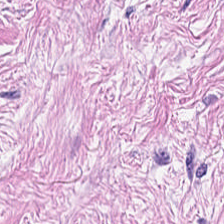H&E stain; formalin-fixed paraffin-embedded section — This field is tumor stroma.
